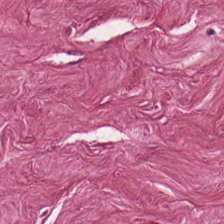Finding — tumor stroma.
